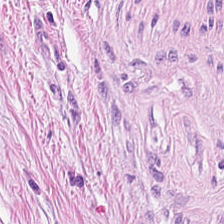Hematoxylin-and-eosin stained section. Tumor stroma.
